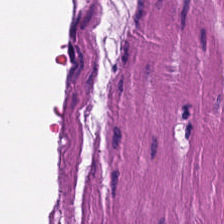Muscularis.
